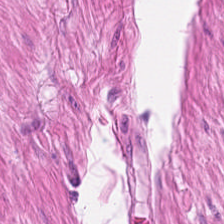224×224 pixel tile · H&E stain.
{"tissue_type": "smooth muscle"}
